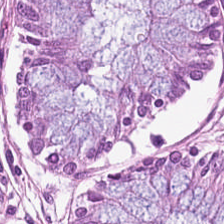{"tissue_type": "normal colonic mucosa"}
